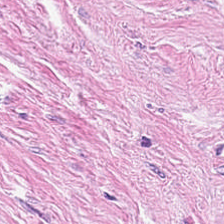Impression → tumor-associated stroma.
